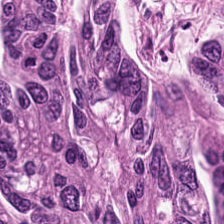0.5 µm per pixel. Hematoxylin-and-eosin stained section — Q: Identify the tissue.
A: This is malignant epithelium.
